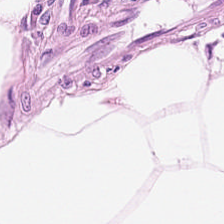H&E-stained tissue section. Adipose.
